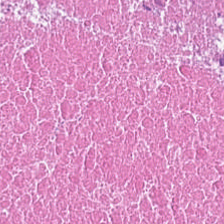H&E-stained tissue section showing necrotic debris.
